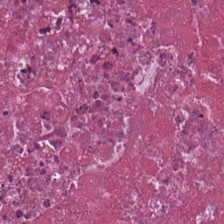Q: What is shown in this field?
A: The field shows debris.
